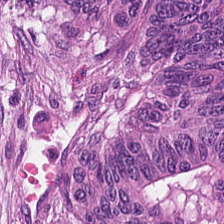H&E-stained tissue section — This field is malignant epithelium.
